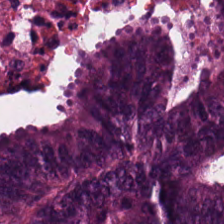Q: What is the predominant tissue type?
A: It is colorectal adenocarcinoma epithelium.
